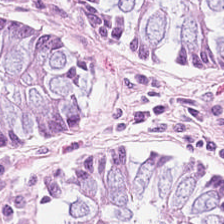Stain: H&E stain.
Tissue: normal colonic mucosa.
